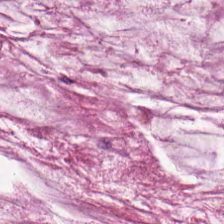Stain: H&E.
Predominant tissue: mucus.
